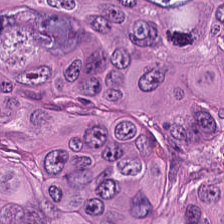H&E — adenocarcinoma.
